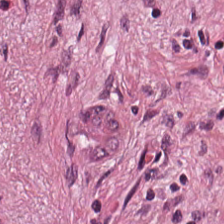Stain: H&E.
Acquisition: brightfield microscopy.
Preparation: FFPE tissue section.
Tissue: desmoplastic stroma.
